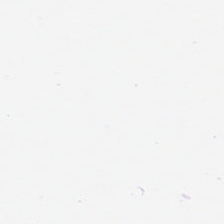Whole-slide-image patch. FFPE tissue section. H&E-stained tissue section. Tissue type = adipose tissue.
